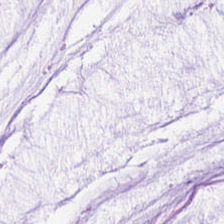Tissue class — extracellular mucin.
